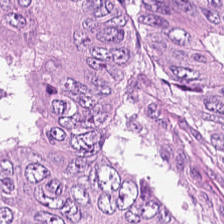H&E-stained tissue section.
The tissue here is malignant epithelium.
